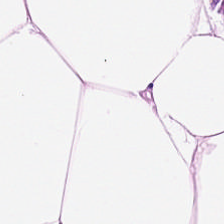Stain: H&E.
Tissue: fat tissue.
